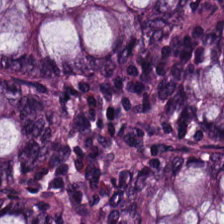Histology — normal colon mucosa.
